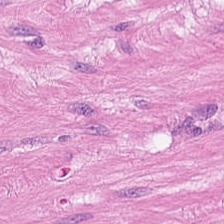H&E stain · 224×224 px tile. Tissue type — muscularis.
